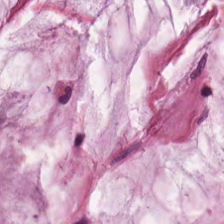WSI patch. Hematoxylin and eosin — The predominant tissue is mucin.
